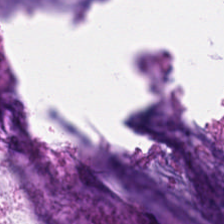Brightfield microscopy; hematoxylin and eosin.
This patch shows mucin.
